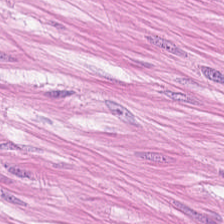Showing smooth-muscle tissue.
